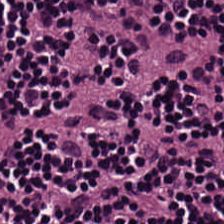Hematoxylin and eosin. Predominantly lymphocyte aggregate.
